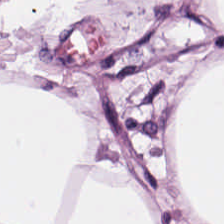Q: What tissue type is shown here?
A: The field shows adipose.
